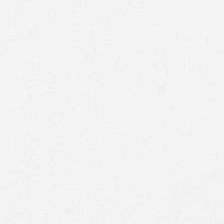Empty field — empty background.
